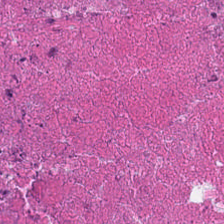Stain: hematoxylin-and-eosin stained section.
Tissue: cellular debris.
